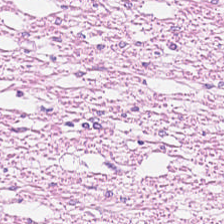Stain: H&E.
Classification: smooth-muscle tissue.
